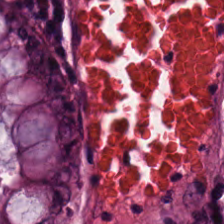0.5 µm per pixel; hematoxylin and eosin. Normal colon mucosa.
